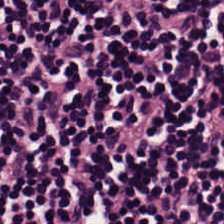The classification is lymphocytes.
